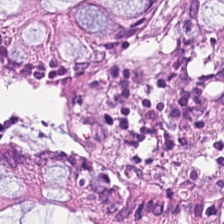Stain: hematoxylin and eosin.
Classification: normal colon mucosa.
